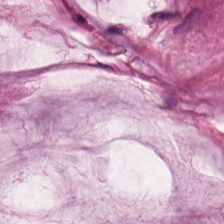{"tissue_type": "mucus"}
